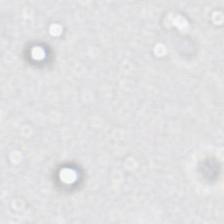Hematoxylin-and-eosin stained section.
This field is background (no tissue).
